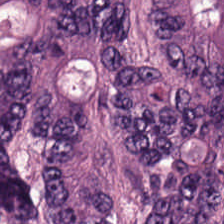Hematoxylin-and-eosin stained section · brightfield microscopy — The predominant tissue is tumor epithelium.
